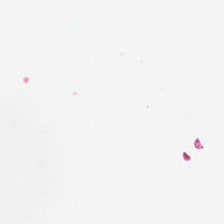Hematoxylin-and-eosin stained section. 20× equivalent magnification.
No tissue.
